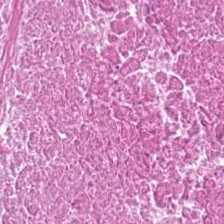Hematoxylin-and-eosin stained section. Predominantly debris.
